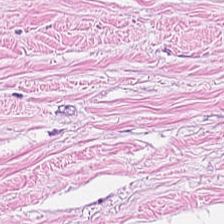20× equivalent magnification. FFPE tissue section. Hematoxylin and eosin — Finding → tumor-associated stroma.
